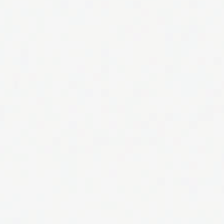Stain: H&E.
Classification: no tissue.
